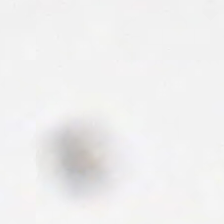Hematoxylin and eosin. Background — no tissue in this field.
